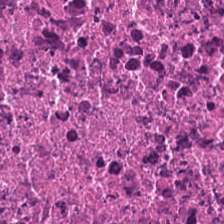Brightfield; H&E — {"tissue_type": "necrotic debris"}
